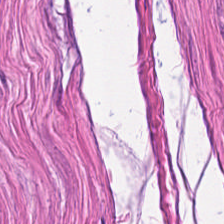This field is muscularis.
